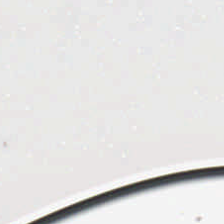Hematoxylin and eosin — Empty background.
